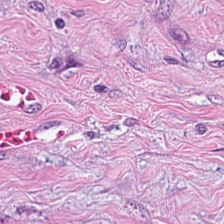H&E · whole-slide-image patch — {"tissue_type": "tumor-associated stroma"}
